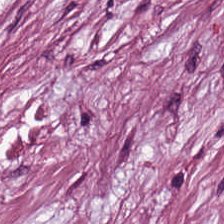Stain: hematoxylin-and-eosin stained section.
Predominant tissue: desmoplastic stroma.
